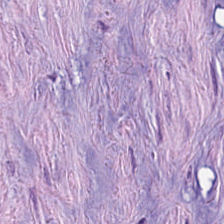Hematoxylin-and-eosin stained section.
Classification — cancer-associated stroma.
